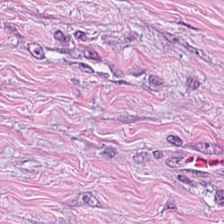H&E.
The predominant tissue is tumor-associated stroma.
